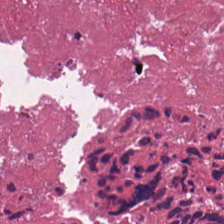H&E — debris.
